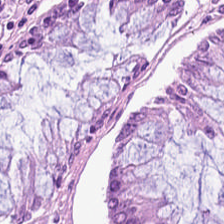Hematoxylin-and-eosin stained section — Histology → benign colonic mucosa.
